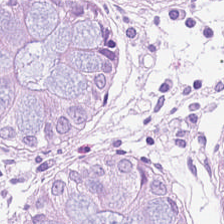H&E-stained tissue section.
{"tissue_type": "non-neoplastic colon mucosa"}
